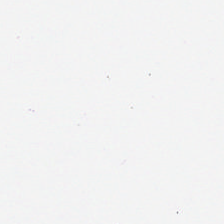Content: empty background.
